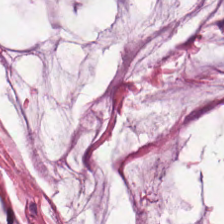H&E.
Finding — mucus.
